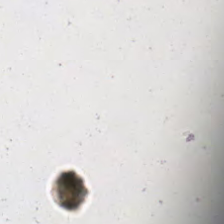Brightfield microscopy · 0.5 microns per pixel · H&E stain. This field is background (no tissue).
